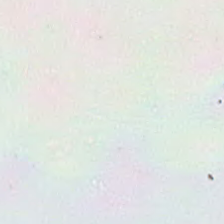This field is background (no tissue).
